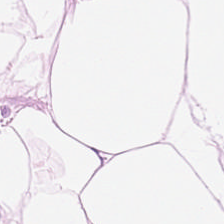H&E stain · WSI patch · 0.5 µm/px — Q: Identify the tissue.
A: The field shows adipose tissue.
